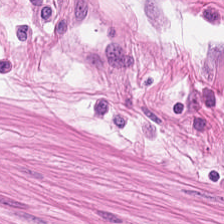The tissue here is muscularis.
